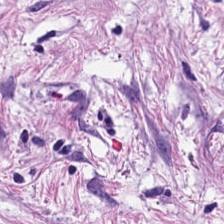The predominant tissue is cancer-associated stroma.
